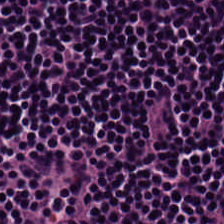Hematoxylin and eosin.
{"tissue_type": "lymphocytes"}
